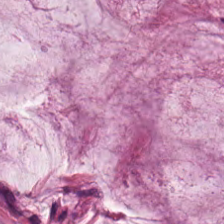Hematoxylin and eosin — Q: What is shown here?
A: The field shows mucin.
